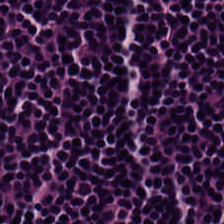Hematoxylin and eosin — Predominantly lymphocytic infiltrate.
